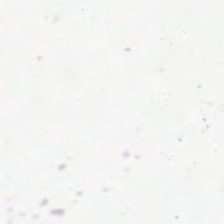H&E-stained tissue section; 0.5 microns per pixel. This patch shows background.
